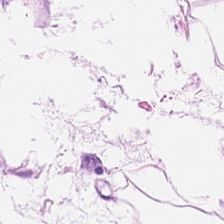This patch shows adipose tissue.
